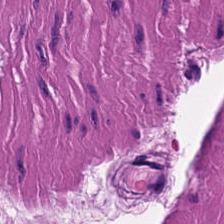FFPE tissue section · H&E stain · 224×224 px tile. Classification: smooth muscle.
